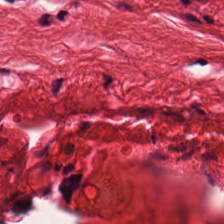H&E patch showing smooth-muscle tissue.
